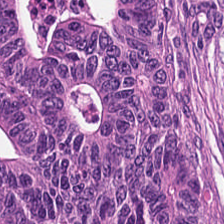Predominantly colorectal adenocarcinoma.
